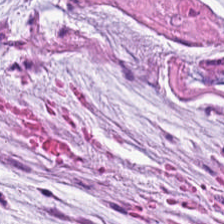224×224 px patch. Hematoxylin and eosin. 0.5 µm per pixel — Classification — mucin.
